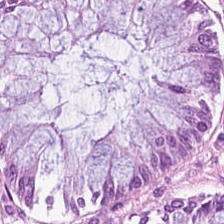Hematoxylin and eosin — This patch shows normal colon mucosa.
